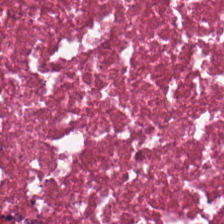Formalin-fixed paraffin-embedded section. Hematoxylin and eosin.
Predominantly debris.
